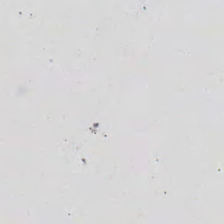Empty background.
